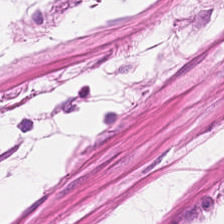H&E-stained tissue section · whole-slide-image patch.
Showing smooth muscle.
